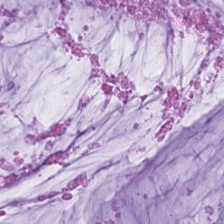H&E — extracellular mucin.
